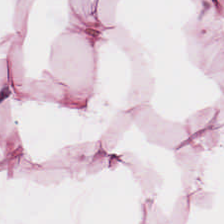Hematoxylin and eosin. Tissue = fat tissue.
